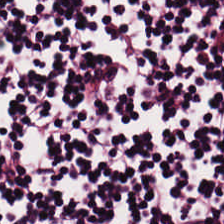H&E — Q: What tissue type is shown here?
A: The field shows lymphoid infiltrate.
